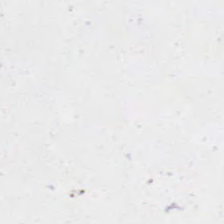224×224 px patch; H&E. Background (no tissue).
